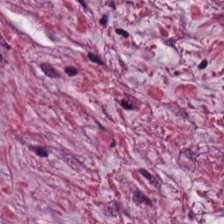Hematoxylin-and-eosin stained section; brightfield microscopy. Predominantly tumor-associated stroma.
